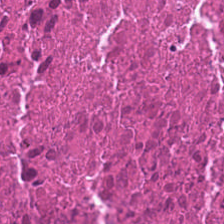Tissue class: necrotic debris.
